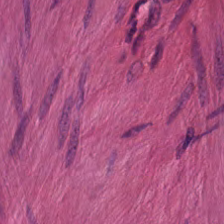Predominantly muscularis.
